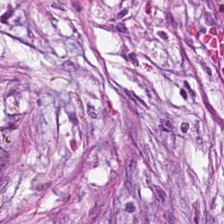FFPE; hematoxylin and eosin.
Classification — tumor stroma.
